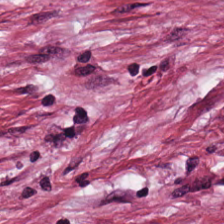{"tissue_type": "tumor-associated stroma"}
